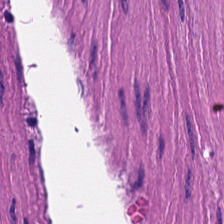H&E. Tissue type — smooth muscle.
